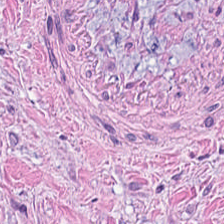H&E.
Tissue type: desmoplastic stroma.
